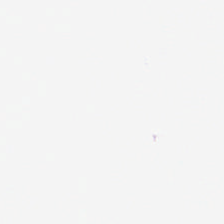This field is background (no tissue).
